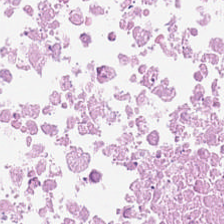{"tissue_type": "cellular debris"}
